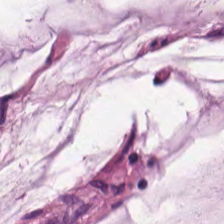H&E stain — The predominant tissue is mucus.
